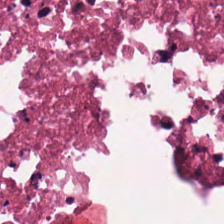H&E stain.
Tissue type: cellular debris.
